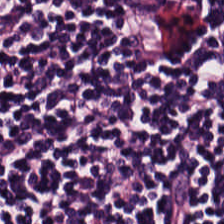Hematoxylin-and-eosin stained section.
Showing lymphoid infiltrate.
